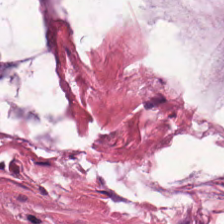224×224 px patch. Whole-slide-image patch. H&E. Mucin.
